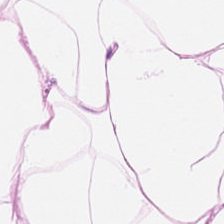H&E-stained tissue section; whole-slide-image patch. Classification = adipose.
